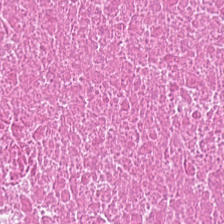Stain: H&E.
Tile size: 224×224 pixel tile.
Tissue type: necrotic debris.
